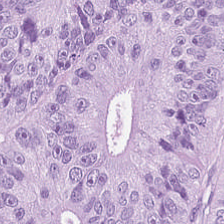Tissue type = malignant epithelium.
